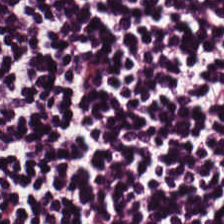H&E-stained section; the field shows lymphoid infiltrate.
